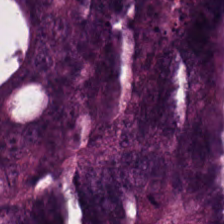Q: What tissue is shown?
A: Malignant epithelium.
